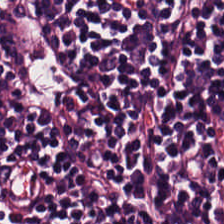Formalin-fixed paraffin-embedded section; H&E-stained tissue section; 224×224 pixel tile. The tissue class is lymphocytes.
